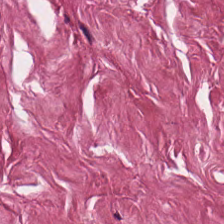H&E stain.
The tissue here is desmoplastic stroma.
